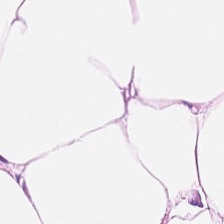H&E.
Tissue — adipose tissue.
